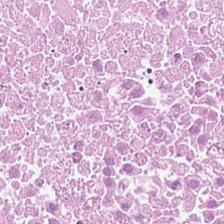H&E-stained tissue section · 224×224 pixel tile · 0.5 µm per pixel — Classification: debris.
